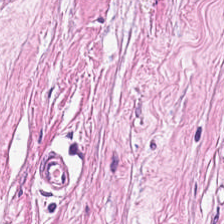Brightfield microscopy · H&E.
Predominant tissue: tumor-associated stroma.
